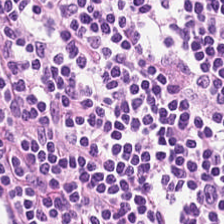Hematoxylin-and-eosin stained section.
Lymphocyte aggregate.
